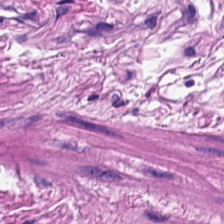0.5 microns per pixel · H&E stain. The tissue type is muscularis.
